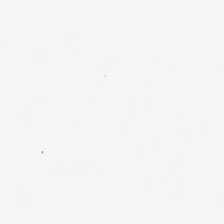Hematoxylin and eosin; whole-slide-image patch.
Classification — no tissue.
